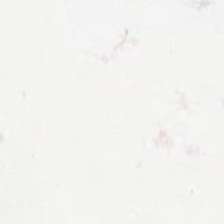Brightfield. Hematoxylin and eosin — Q: What is shown here?
A: Empty background.
